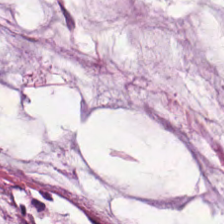224×224 px patch. H&E-stained tissue section. Showing mucus.
